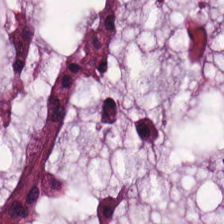Hematoxylin and eosin · 0.5 microns per pixel · 224×224 px patch — Q: Identify the tissue.
A: The field shows mucus.
